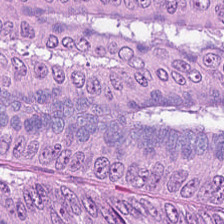Stain: H&E.
Tissue: colorectal adenocarcinoma.
